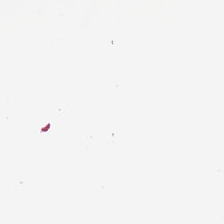H&E stain — Classification = background (no tissue).
